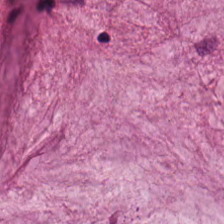The classification is mucus.
